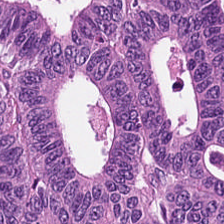Q: What is the predominant tissue type?
A: The field shows tumor epithelium.
